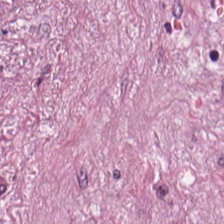0.5 µm/px; H&E-stained tissue section.
The classification is tumor stroma.
